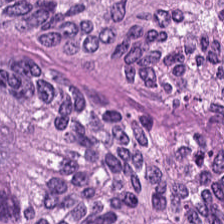FFPE · H&E-stained tissue section · 224×224 px tile. Predominant tissue = tumor epithelium.
